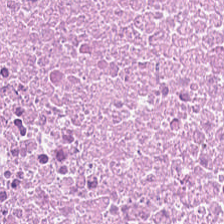H&E stain · 0.5 µm per pixel · formalin-fixed paraffin-embedded section.
Tissue = debris.
